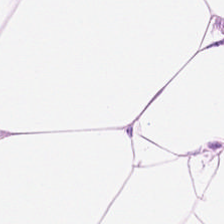H&E-stained tissue section. The tissue class is adipose tissue.
